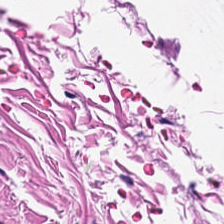H&E-stained tissue section. Impression → smooth muscle.
